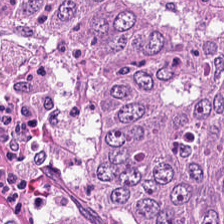FFPE tissue section. Hematoxylin and eosin.
The tissue type is adenocarcinoma.
